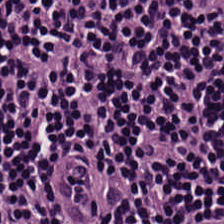H&E; whole-slide-image patch; 20× equivalent magnification. Predominantly lymphocytic infiltrate.
